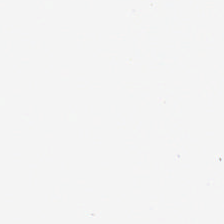{"content": "empty background"}
